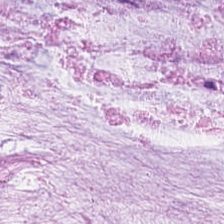WSI patch; H&E — Q: Classify this patch.
A: It is mucus.
